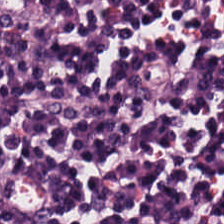H&E patch showing lymphoid infiltrate.
